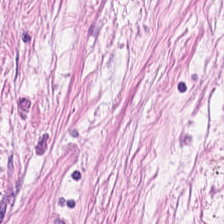Stain: H&E stain.
Tile size: 224×224 pixel tile.
Predominant tissue: tumor stroma.
